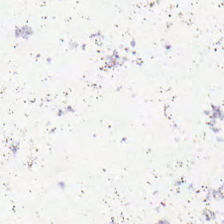0.5 µm per pixel. H&E-stained tissue section. FFPE tissue section.
No tissue.
